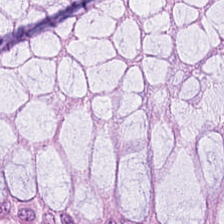WSI patch. Hematoxylin-and-eosin stained section. 0.5 µm/px. The predominant tissue is benign colonic mucosa.
